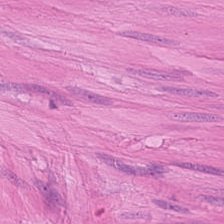H&E.
Tissue class = smooth-muscle tissue.
